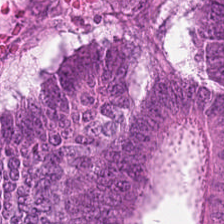Hematoxylin-and-eosin stained section. The tissue here is tumor epithelium.
